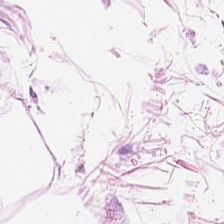H&E-stained tissue section. Tissue — adipose.
